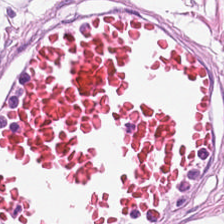224×224 pixel tile. H&E stain. Whole-slide-image patch — {"tissue_type": "adipose"}
